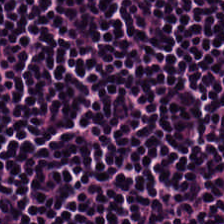Stain: H&E stain.
Acquisition: WSI patch.
Tissue type: lymphoid infiltrate.
